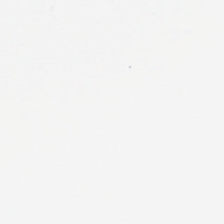H&E stain. This patch shows empty background.
